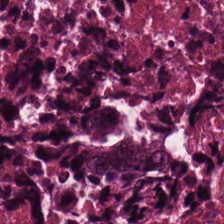Predominant tissue — necrotic debris.
